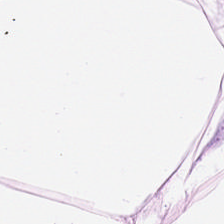H&E. 20× equivalent magnification. Tissue: adipose.
